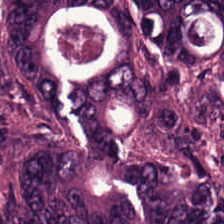Stain: hematoxylin-and-eosin stained section.
Tissue type: tumor epithelium.
